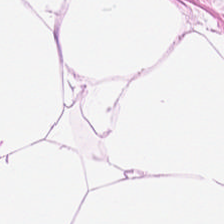Hematoxylin and eosin. Tissue = adipose.
